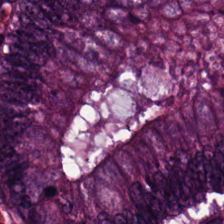Stain: hematoxylin and eosin.
Predominant tissue: colorectal adenocarcinoma epithelium.
